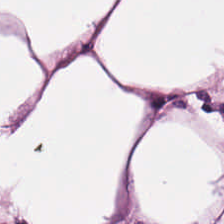H&E-stained section; the field shows adipose tissue.
